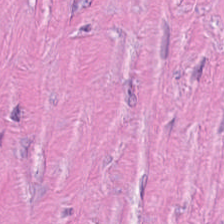Hematoxylin-and-eosin stained section.
This patch shows tumor stroma.
